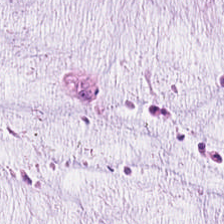0.5 µm/px · hematoxylin-and-eosin stained section · 224×224 px tile — Predominantly mucin.
